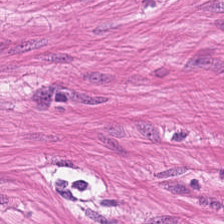Classification = smooth muscle.
